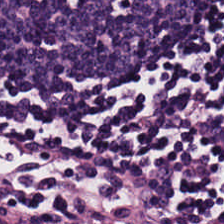Hematoxylin-and-eosin stained section. 0.5 µm per pixel — Showing lymphoid infiltrate.
